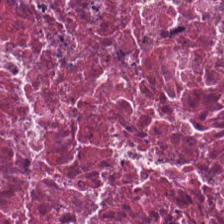20× equivalent magnification; hematoxylin and eosin. {"tissue_type": "necrotic debris"}
